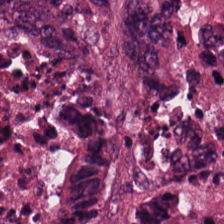WSI patch. Hematoxylin and eosin. Predominant tissue: colorectal adenocarcinoma.
